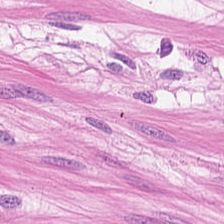Stain: hematoxylin and eosin.
Predominant tissue: smooth-muscle tissue.
